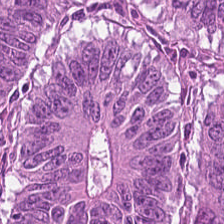Hematoxylin and eosin.
Predominant tissue — tumor epithelium.
